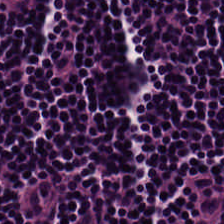Hematoxylin-and-eosin stained section. 0.5 µm per pixel. WSI patch — The predominant tissue is lymphocytic infiltrate.
